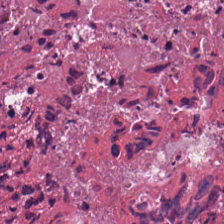FFPE. Hematoxylin-and-eosin stained section. Q: Classify this patch.
A: It is necrotic debris.
